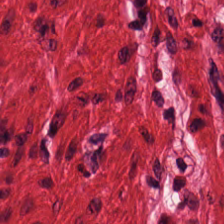Hematoxylin-and-eosin stained section.
Predominantly smooth muscle.
